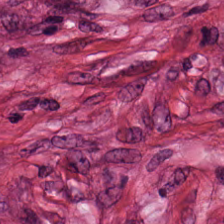H&E stain.
This field is tumor-associated stroma.
